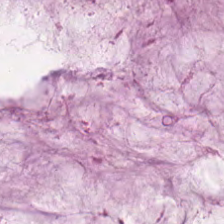Brightfield microscopy. H&E — Showing mucus.
